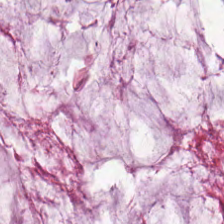H&E-stained tissue section. Classification: extracellular mucin.
